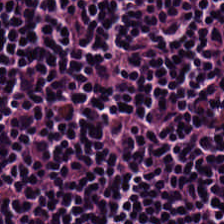Hematoxylin and eosin. Formalin-fixed paraffin-embedded section. WSI patch. Impression — lymphocytic infiltrate.
